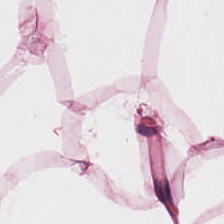Hematoxylin-and-eosin stained section · FFPE · 224×224 px tile.
Histology — adipocytes.
